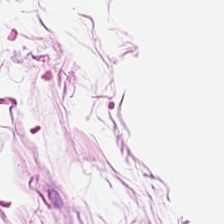H&E-stained tissue section — {"tissue_type": "adipose"}
